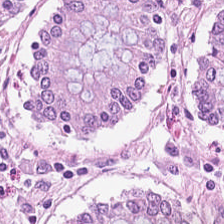H&E-stained tissue section showing normal colonic mucosa.
